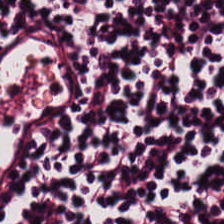Stain: hematoxylin and eosin.
Classification: lymphoid infiltrate.
